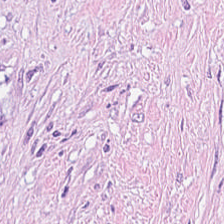Q: Classify this patch.
A: It is tumor-associated stroma.
